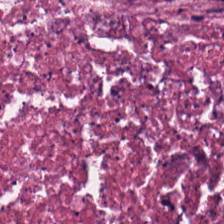H&E-stained tissue section — This field is debris.
